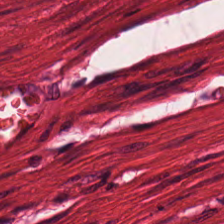Hematoxylin and eosin. Predominantly smooth-muscle tissue.
